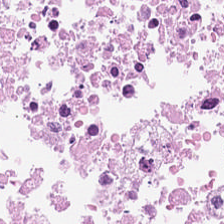Hematoxylin and eosin. Histology → debris.
